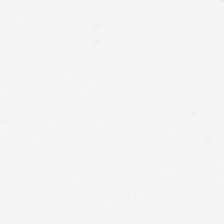Finding → background (no tissue).
